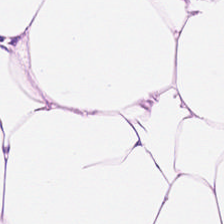H&E stain — Showing fat tissue.
